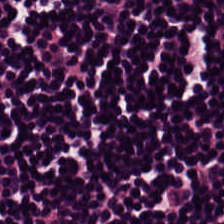224×224 pixel tile · H&E.
Lymphocyte aggregate.
